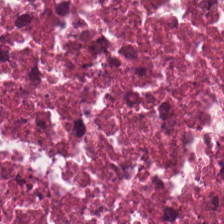224×224 px tile; hematoxylin-and-eosin stained section; FFPE tissue section.
Classification = cellular debris.
